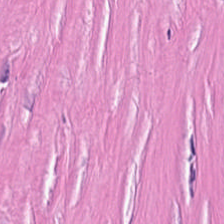H&E-stained tissue section. The tissue here is tumor-associated stroma.
